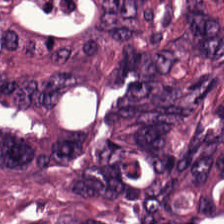Whole-slide-image patch · formalin-fixed paraffin-embedded section · hematoxylin-and-eosin stained section. Finding — tumor epithelium.
